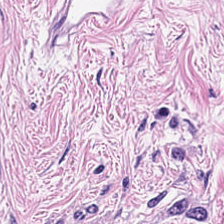20× equivalent magnification. H&E-stained tissue section. 224×224 px tile.
Q: What does this patch show?
A: It is tumor stroma.
